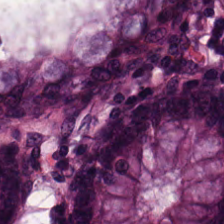FFPE · H&E stain.
Impression → benign colonic mucosa.
